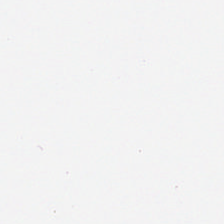Background — no tissue in this field.
